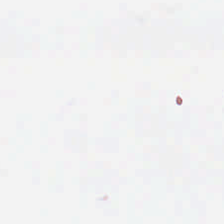Hematoxylin-and-eosin stained section · 224×224 px patch. Q: What is shown in this field?
A: Background.
